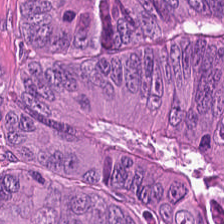H&E. Predominantly malignant epithelium.
